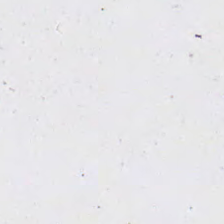Hematoxylin and eosin — Empty field — empty background.
